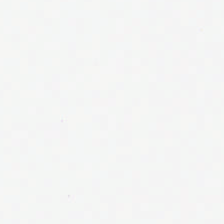H&E-stained tissue section · FFPE.
Empty field — no tissue.
